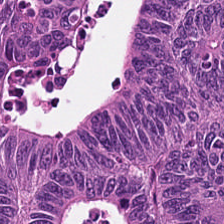Hematoxylin-and-eosin stained section.
Predominantly adenocarcinoma.
